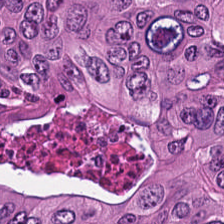0.5 µm/px; 224×224 pixel tile; H&E-stained tissue section.
Q: What tissue is shown?
A: It is colorectal adenocarcinoma.
